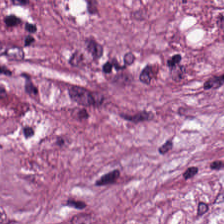H&E stain.
The tissue here is cancer-associated stroma.
